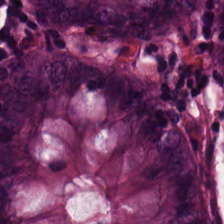Hematoxylin and eosin. This field is benign colonic mucosa.
